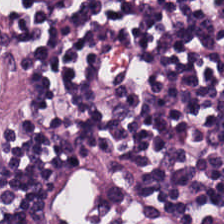H&E — Tissue type — lymphocytes.
